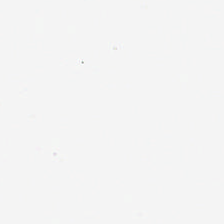H&E stain. Empty field — empty background.
